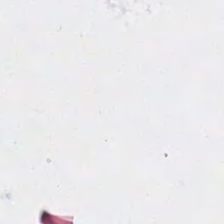Hematoxylin-and-eosin stained section · 20× equivalent magnification.
Histology → no tissue.
